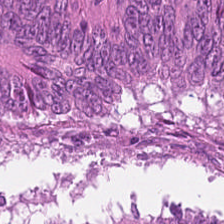H&E. Q: What does this patch show?
A: This is malignant epithelium.
